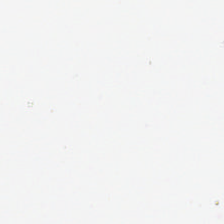20× equivalent magnification; H&E — No tissue present; background only.
